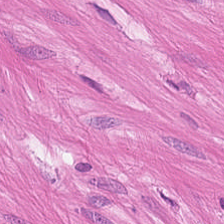Tissue: muscularis.
